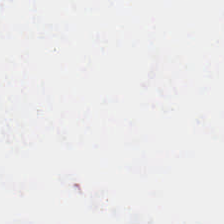Hematoxylin-and-eosin stained section. 0.5 microns per pixel.
This field is background (no tissue).
